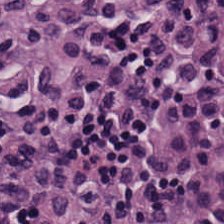Impression — lymphocytes.
